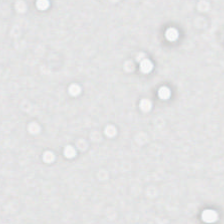Hematoxylin and eosin · 224×224 px patch · whole-slide-image patch — Q: What is shown here?
A: This is empty background.
